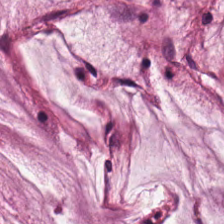H&E-stained tissue section — Q: What tissue is shown?
A: The field shows mucus.
